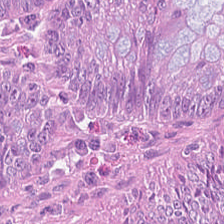The tissue type is colorectal adenocarcinoma.
